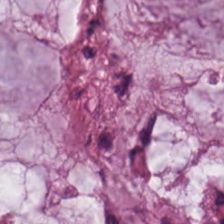H&E — Q: What tissue is shown?
A: Mucin.
